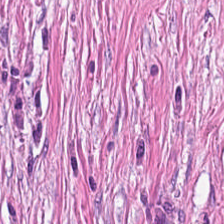H&E; 0.5 microns per pixel.
Finding → desmoplastic stroma.
